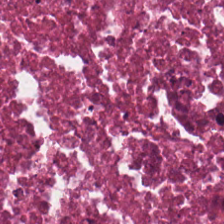Stain: hematoxylin and eosin.
Tissue class: debris.
